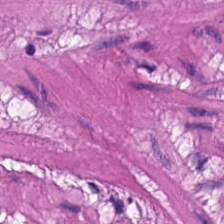H&E; 0.5 microns per pixel — The tissue is smooth muscle.
